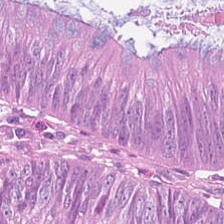224×224 pixel tile. H&E-stained tissue section. Tissue class — adenocarcinoma.
